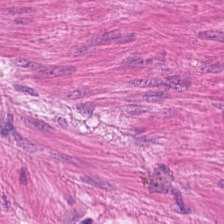0.5 µm per pixel · H&E-stained tissue section — Q: What is shown in this field?
A: This is smooth muscle.
